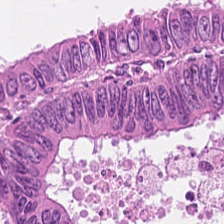H&E · FFPE.
Showing colorectal adenocarcinoma.
